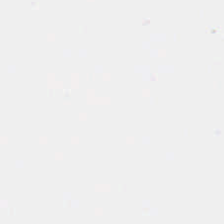Hematoxylin-and-eosin stained section.
This field is background (no tissue).
